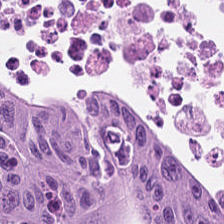{"tissue_type": "malignant epithelium"}
